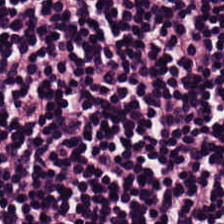224×224 px patch. FFPE. Hematoxylin and eosin. The predominant tissue is lymphocytes.
